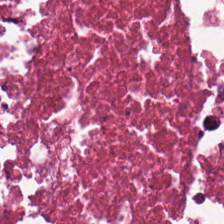H&E-stained tissue section.
The predominant tissue is debris.
